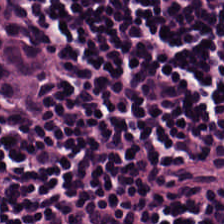H&E stain.
Impression → lymphoid infiltrate.
